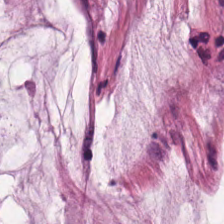H&E stain. Tissue class = extracellular mucin.
